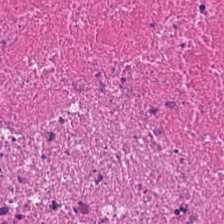Hematoxylin and eosin; 224×224 px patch. Q: What is the predominant tissue type?
A: Necrotic debris.
